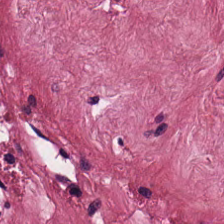Q: What is shown here?
A: Tumor stroma.
